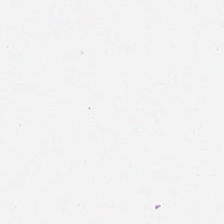No tissue.
